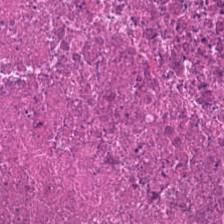H&E-stained tissue section. Brightfield microscopy. Impression → necrotic debris.
